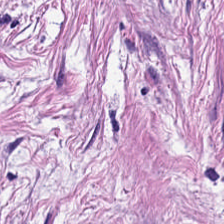0.5 microns per pixel · whole-slide-image patch · hematoxylin and eosin.
{"tissue_type": "desmoplastic stroma"}
